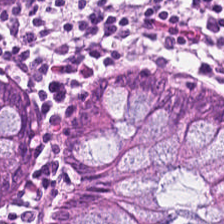Stain: hematoxylin and eosin.
Tile size: 224×224 px patch.
Acquisition: whole-slide-image patch.
Tissue type: non-neoplastic colon mucosa.
